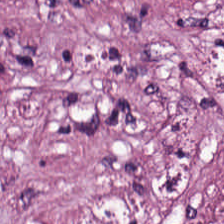Stain: H&E.
Tissue type: tumor-associated stroma.
